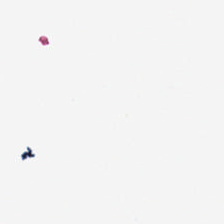H&E stain.
Q: Classify this patch.
A: Background.
